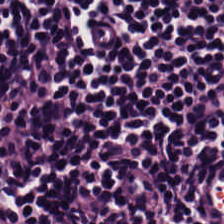H&E stain; FFPE; 20× equivalent magnification.
The predominant tissue is lymphocytes.
